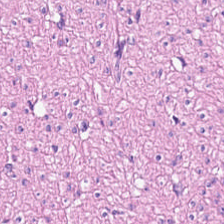Q: What type of tissue is this?
A: Smooth-muscle tissue.
